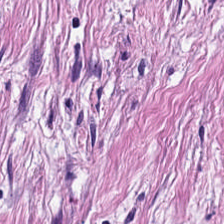H&E stain; 0.5 µm per pixel. Q: What tissue type is shown here?
A: The field shows desmoplastic stroma.
